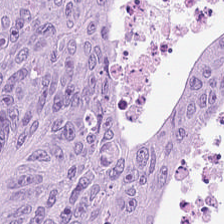Hematoxylin and eosin. The predominant tissue is colorectal adenocarcinoma.
